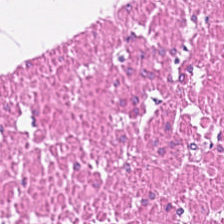Stain: H&E stain.
Tissue class: muscularis.
